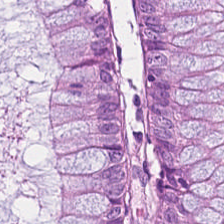H&E; 224×224 px tile. The classification is benign colonic mucosa.
